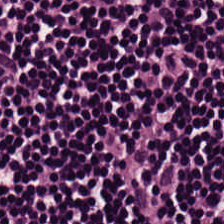H&E stain; FFPE.
Predominantly lymphoid infiltrate.
